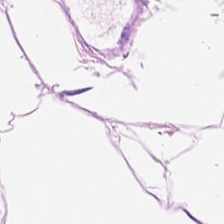Stain: H&E.
Predominant tissue: adipocytes.
